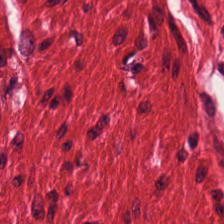Hematoxylin-and-eosin stained section.
Impression — smooth-muscle tissue.
